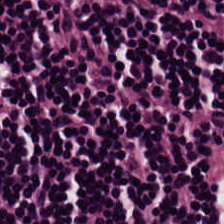Hematoxylin and eosin — The classification is lymphocyte aggregate.
